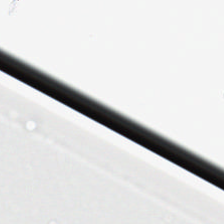224×224 pixel tile; hematoxylin-and-eosin stained section — Histology → background (no tissue).
